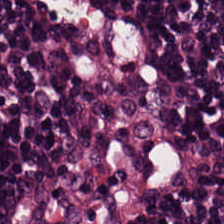Stain: hematoxylin-and-eosin stained section.
Resolution: 0.5 microns per pixel.
Predominant tissue: lymphocytic infiltrate.
